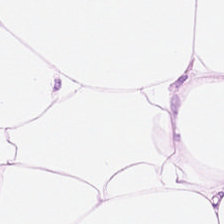Hematoxylin-and-eosin stained section — Predominantly adipocytes.
